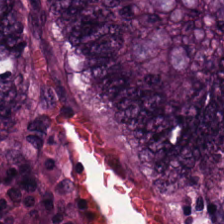The tissue here is malignant epithelium.
